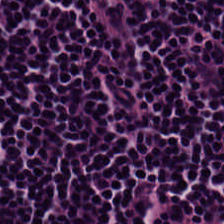Hematoxylin and eosin — Predominantly lymphocyte aggregate.
